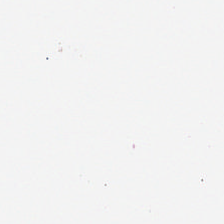Empty field — empty background.
